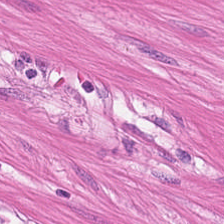Hematoxylin and eosin. The tissue here is smooth muscle.
